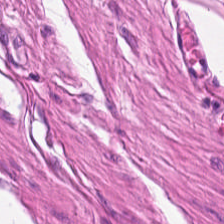Hematoxylin and eosin. Impression → smooth muscle.
